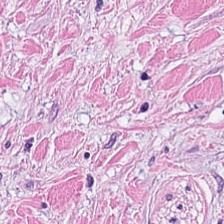Hematoxylin-and-eosin stained section. Predominant tissue: cancer-associated stroma.
